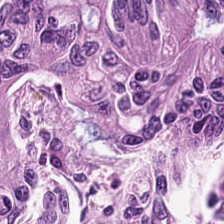H&E. Q: What is shown in this field?
A: Malignant epithelium.
